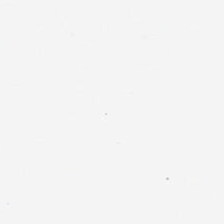Stain: H&E stain.
Field content: background.
